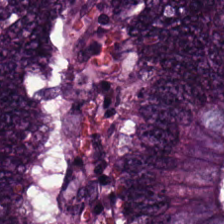Stain: H&E stain.
Tissue: colorectal adenocarcinoma.
